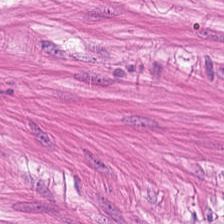Formalin-fixed paraffin-embedded section; H&E-stained tissue section; 224×224 pixel tile. Muscularis.
